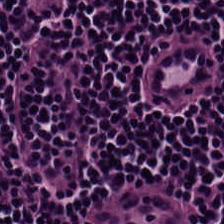Stain: H&E.
Resolution: 0.5 µm per pixel.
Classification: lymphocyte aggregate.
